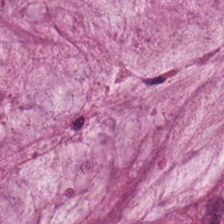0.5 µm per pixel; hematoxylin-and-eosin stained section.
Tissue — extracellular mucin.
